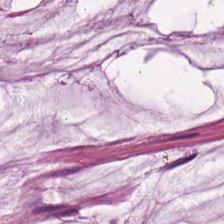H&E; 224×224 px patch. Classification: extracellular mucin.
